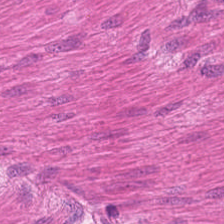H&E-stained tissue section. Q: What is the predominant tissue type?
A: The field shows smooth muscle.
